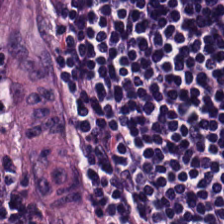H&E. Classification = lymphocytes.
